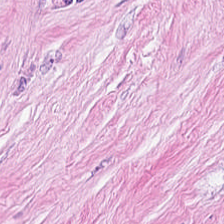Whole-slide-image patch; 0.5 µm per pixel; H&E-stained tissue section — The tissue here is desmoplastic stroma.
